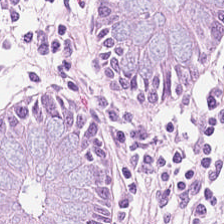H&E-stained tissue section. Showing benign colonic mucosa.
